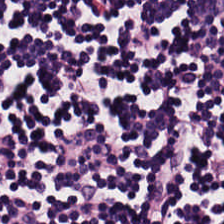Hematoxylin-and-eosin stained section; 224×224 pixel tile.
The classification is lymphocyte aggregate.
